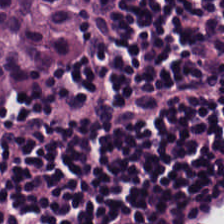Brightfield · H&E-stained tissue section — {"tissue_type": "lymphocytic infiltrate"}
